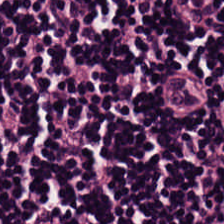Hematoxylin and eosin — Q: What is shown here?
A: It is lymphocytes.
